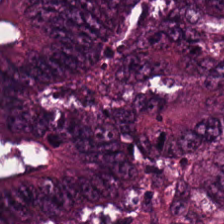Whole-slide-image patch; H&E-stained tissue section — The predominant tissue is adenocarcinoma.
